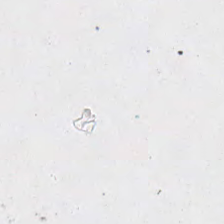Hematoxylin-and-eosin stained section — Empty field — background.
